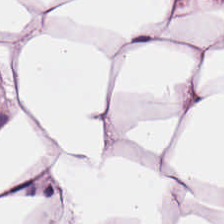20× equivalent magnification · H&E stain. Predominant tissue: fat tissue.
